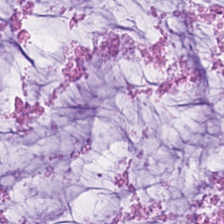H&E stain; 20× equivalent magnification. Predominantly mucus.
